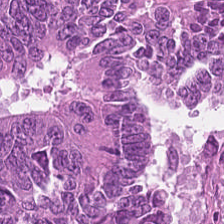H&E-stained tissue section.
Impression — colorectal adenocarcinoma epithelium.
